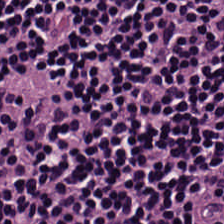Stain: hematoxylin and eosin.
Tissue type: lymphoid infiltrate.
